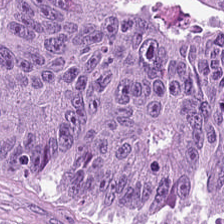FFPE. Brightfield. H&E stain. This field is malignant epithelium.
